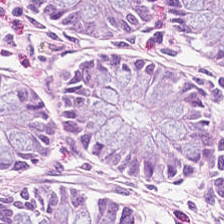224×224 pixel tile. Brightfield. Hematoxylin-and-eosin stained section — {"tissue_type": "benign colonic mucosa"}
